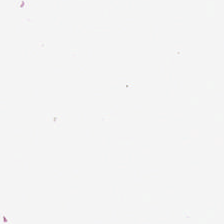Whole-slide-image patch · hematoxylin and eosin. Field content: background.
